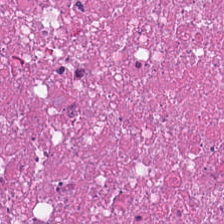Brightfield microscopy; H&E; 0.5 microns per pixel — Cellular debris.
